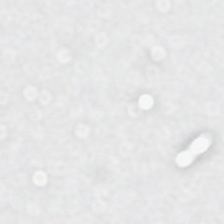Hematoxylin and eosin. 0.5 µm/px.
This field is background (no tissue).
